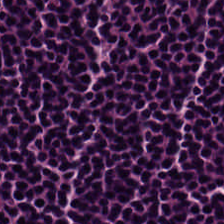224×224 px patch. H&E-stained tissue section — {"tissue_type": "lymphoid infiltrate"}
